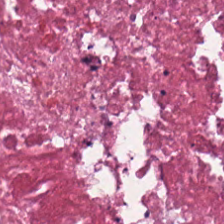Hematoxylin-and-eosin section: cellular debris.
